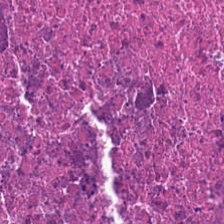Hematoxylin and eosin; 224×224 pixel tile — Impression → necrotic debris.
